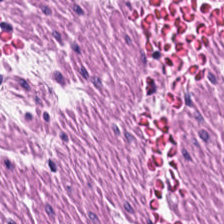Hematoxylin-and-eosin stained section — Tissue = smooth-muscle tissue.
